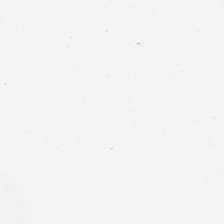H&E stain — Finding — background.
